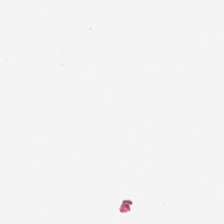H&E stain · brightfield microscopy. The content is background.
